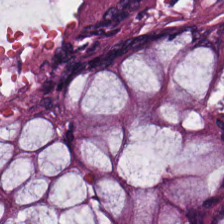Stain: H&E-stained tissue section.
Acquisition: WSI patch.
Resolution: 0.5 µm per pixel.
Tissue type: normal colon mucosa.
